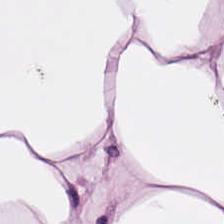H&E — fat tissue.
